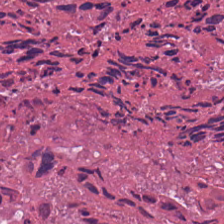Q: What type of tissue is this?
A: This is cellular debris.
